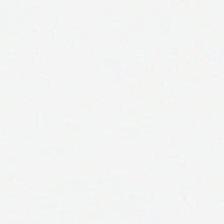Hematoxylin and eosin. Content: no tissue.
